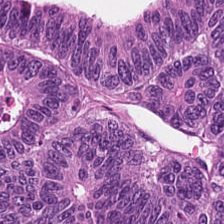H&E-stained tissue section.
The classification is adenocarcinoma.
